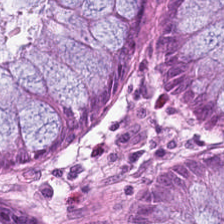Tissue class = benign colonic mucosa.
